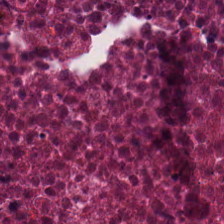H&E-stained tissue section.
The tissue here is debris.
